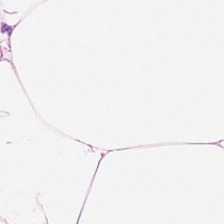Hematoxylin and eosin — This field is adipose tissue.
